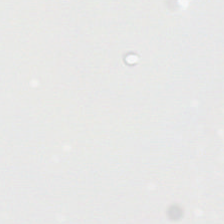Stain: H&E-stained tissue section.
Classification: background (no tissue).
